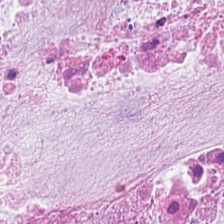0.5 µm/px; H&E stain. {"tissue_type": "extracellular mucin"}
